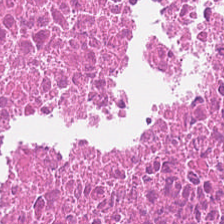Hematoxylin and eosin.
Histology — debris.
